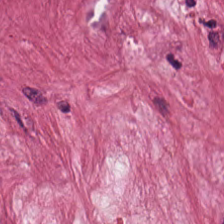Hematoxylin and eosin — Tissue class — tumor-associated stroma.
